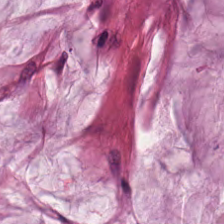H&E. This patch shows mucus.
